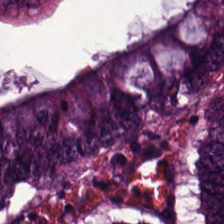Hematoxylin-and-eosin section: adenocarcinoma.
